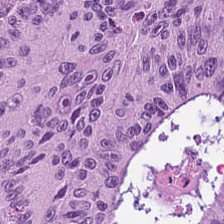Tumor epithelium.
